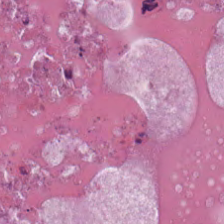H&E-stained tissue section — This patch shows cellular debris.
